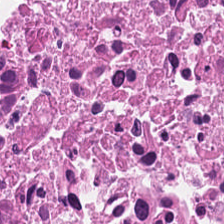H&E-stained tissue section showing cellular debris.
